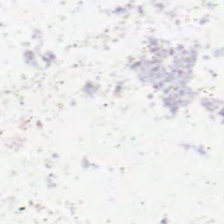Stain: H&E-stained tissue section.
Field content: no tissue.
